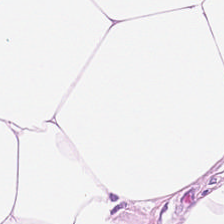Stain: hematoxylin and eosin.
Acquisition: brightfield microscopy.
Predominant tissue: fat tissue.
